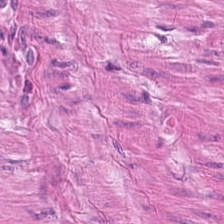Hematoxylin and eosin.
Classification: smooth-muscle tissue.
